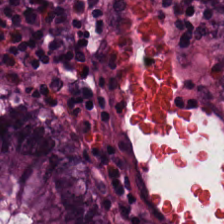H&E patch showing benign colonic mucosa.
